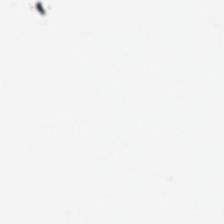H&E stain; FFPE tissue section; 224×224 px patch. Impression → no tissue.
